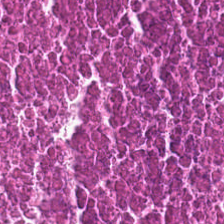Predominant tissue = debris.
